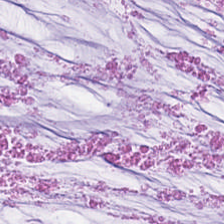H&E. Showing mucus.
